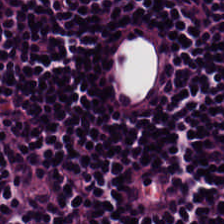Hematoxylin-and-eosin section: lymphocyte aggregate.
